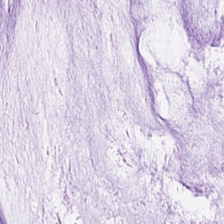Hematoxylin and eosin — Tissue type — mucus.
